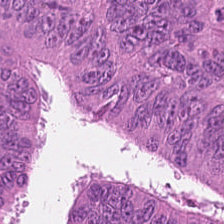Hematoxylin and eosin — This patch shows colorectal adenocarcinoma.
